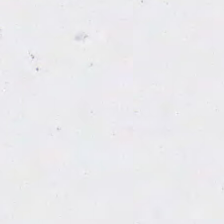Background — no tissue in this field.
